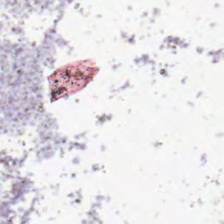Stain: H&E stain.
Classification: empty background.
